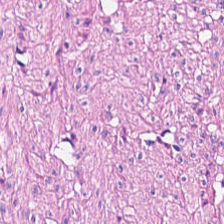Hematoxylin and eosin. Muscularis.
